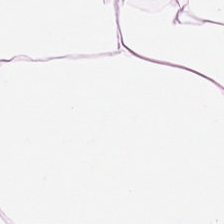Hematoxylin and eosin.
Predominant tissue — adipocytes.
